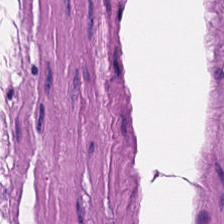Hematoxylin and eosin. 0.5 µm per pixel. FFPE.
The tissue here is muscularis.
